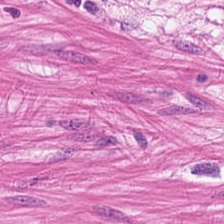Stain: H&E.
Classification: smooth muscle.
